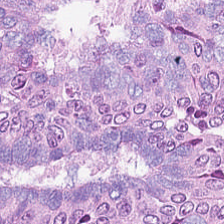Hematoxylin-and-eosin stained section. Q: What tissue type is shown here?
A: It is colorectal adenocarcinoma epithelium.
